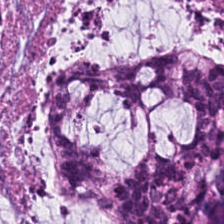H&E stain — This patch shows mucus.
